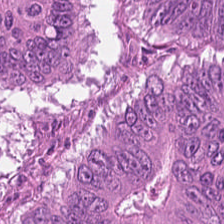H&E — Q: What tissue is shown?
A: Tumor epithelium.
